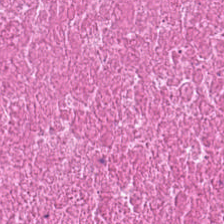H&E stain.
This patch shows debris.
